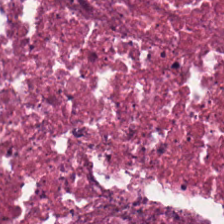H&E-stained tissue section. Impression — cellular debris.
